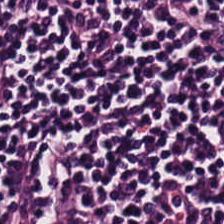H&E stain.
This field is lymphocytic infiltrate.
